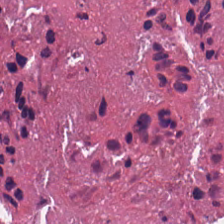0.5 µm per pixel. Hematoxylin-and-eosin stained section. 224×224 px tile. Necrotic debris.
